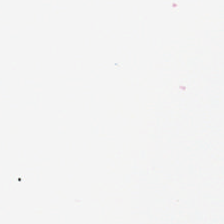Hematoxylin-and-eosin stained section · FFPE tissue section.
No tissue present; background only.
